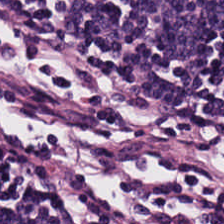H&E — Q: What tissue is shown?
A: Lymphocyte aggregate.
